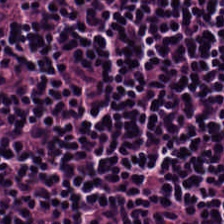{"tissue_type": "lymphoid infiltrate"}
